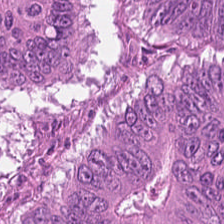0.5 µm/px · hematoxylin-and-eosin stained section — Q: What is the predominant tissue type?
A: This is adenocarcinoma.
